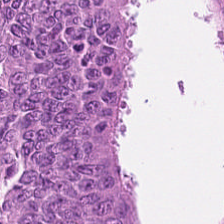Q: Identify the tissue.
A: It is colorectal adenocarcinoma epithelium.
